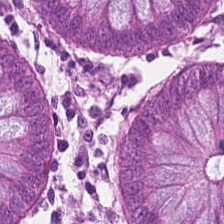Stain: hematoxylin-and-eosin stained section.
Predominant tissue: non-neoplastic colon mucosa.
